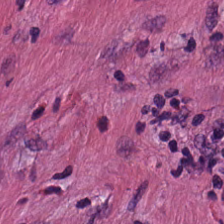H&E-stained tissue section — Cancer-associated stroma.
